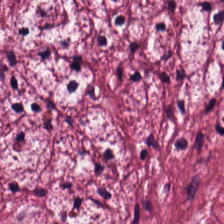H&E.
The predominant tissue is cancer-associated stroma.
